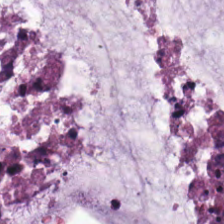Predominant tissue: mucin.
